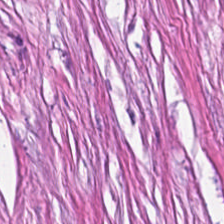Hematoxylin-and-eosin stained section; FFPE tissue section; 224×224 px tile. Q: Classify this patch.
A: Tumor stroma.
